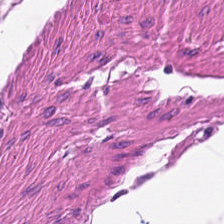H&E stain. Tissue class = smooth-muscle tissue.
